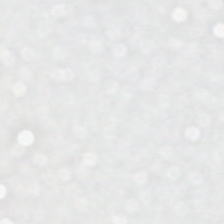224×224 pixel tile; hematoxylin and eosin.
Content = empty background.
